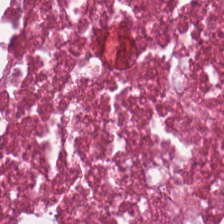Classification = necrotic debris.
